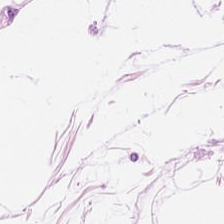224×224 pixel tile. H&E. Impression → fat tissue.
